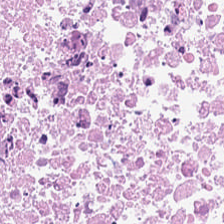0.5 µm per pixel · hematoxylin-and-eosin stained section.
Classification: cellular debris.
